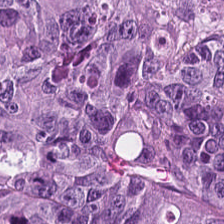H&E.
Finding → tumor epithelium.
